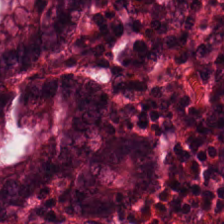Histology — benign colonic mucosa.
